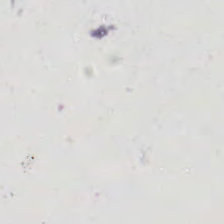20× equivalent magnification. H&E stain.
Content: empty background.
